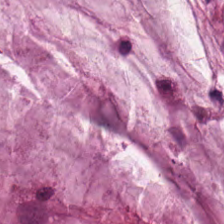Q: What is the predominant tissue type?
A: The field shows extracellular mucin.
